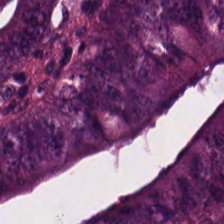224×224 pixel tile. H&E-stained tissue section. 0.5 microns per pixel. Q: What is shown here?
A: Tumor epithelium.
